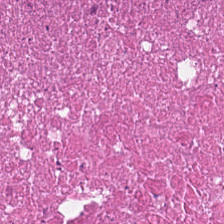H&E-stained tissue section — Tissue class — debris.
